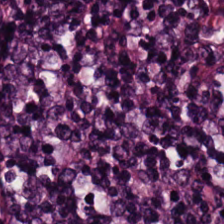H&E.
The tissue class is lymphocyte aggregate.
